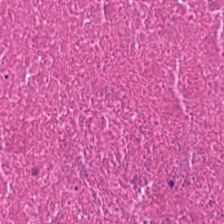WSI patch. H&E-stained tissue section. 224×224 pixel tile — Q: What is shown here?
A: This is cellular debris.
